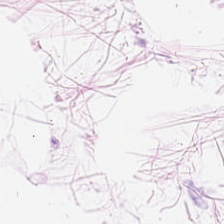Hematoxylin-and-eosin stained section — Finding — adipose.
